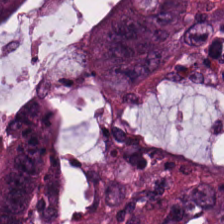H&E-stained tissue section — Q: What type of tissue is this?
A: This is adenocarcinoma.
